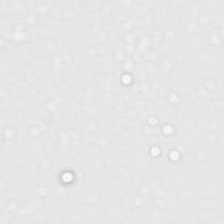Finding → no tissue.
